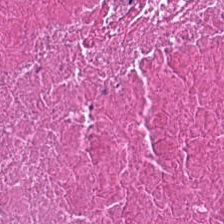FFPE · hematoxylin and eosin.
Debris.
